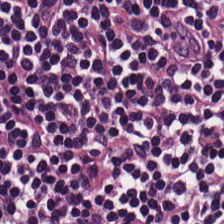Hematoxylin-and-eosin stained section.
Tissue class = lymphocytic infiltrate.
